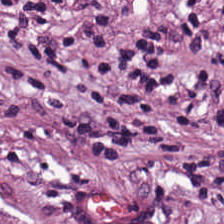H&E stain — Finding → desmoplastic stroma.
